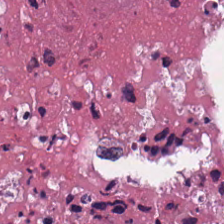Hematoxylin and eosin — {"tissue_type": "cellular debris"}
